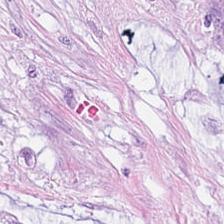Stain: H&E stain.
Classification: mucus.
